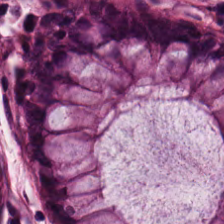Hematoxylin and eosin. This field is normal colon mucosa.
